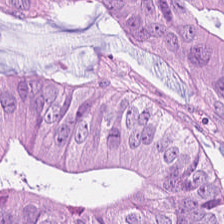Hematoxylin and eosin.
Q: What type of tissue is this?
A: This is colorectal adenocarcinoma.
